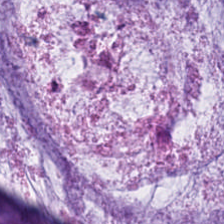H&E-stained tissue section — Q: What tissue type is shown here?
A: The field shows mucus.
